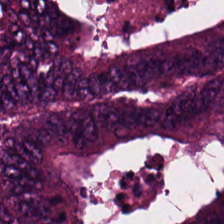H&E · formalin-fixed paraffin-embedded section · 224×224 px tile.
Predominantly adenocarcinoma.
